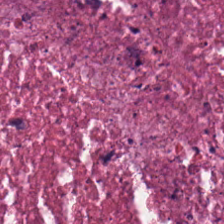Stain: H&E stain.
Classification: necrotic debris.
